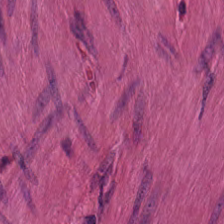Histology → smooth muscle.
